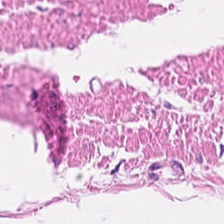224×224 px patch · H&E-stained tissue section. {"tissue_type": "muscularis"}
